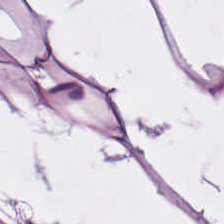Stain: hematoxylin-and-eosin stained section.
Tissue type: adipocytes.
